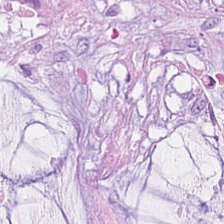H&E-stained tissue section. The tissue here is mucin.
